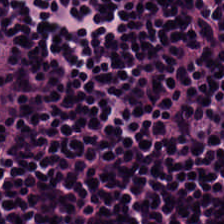20× equivalent magnification; H&E.
Histology — lymphoid infiltrate.
